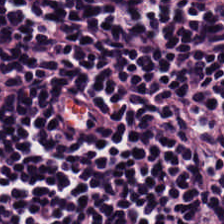Classification: lymphocytes.
